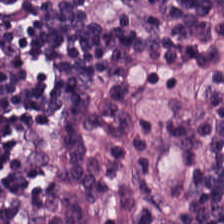Showing lymphocytes.
